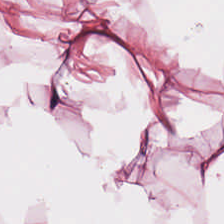{"tissue_type": "adipocytes"}
